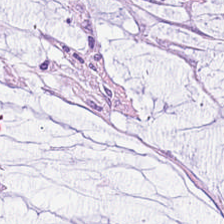H&E stain.
{"tissue_type": "extracellular mucin"}
